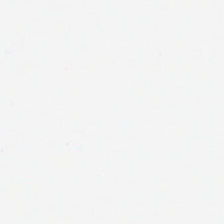0.5 µm/px. Hematoxylin and eosin — Content — background (no tissue).
